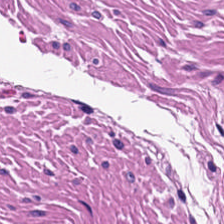H&E stain. The predominant tissue is muscularis.
